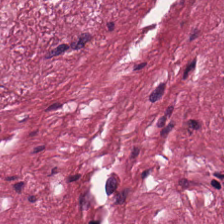0.5 µm per pixel · H&E-stained tissue section. Showing tumor-associated stroma.
